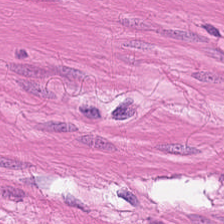H&E stain. 224×224 px tile. 20× equivalent magnification. Smooth-muscle tissue.
